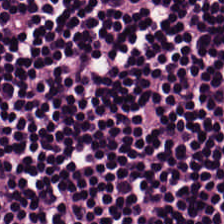H&E. This patch shows lymphocytes.
